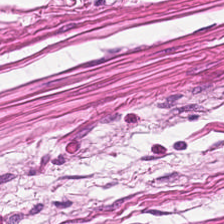Hematoxylin and eosin — The tissue type is smooth muscle.
